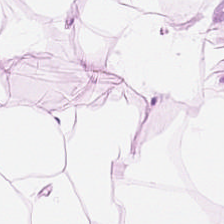Tissue type — adipose.
